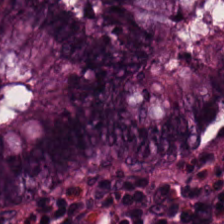H&E.
{"tissue_type": "non-neoplastic colon mucosa"}
